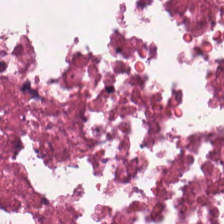H&E-stained tissue section. This field is necrotic debris.
